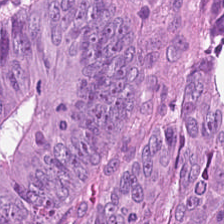Hematoxylin and eosin. Brightfield microscopy. Malignant epithelium.
